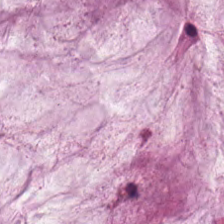FFPE tissue section · H&E stain. The predominant tissue is mucus.
